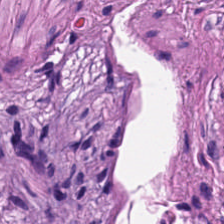The predominant tissue is smooth-muscle tissue.
